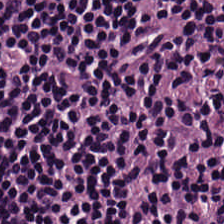Formalin-fixed paraffin-embedded section; hematoxylin and eosin — The tissue here is lymphocytes.
